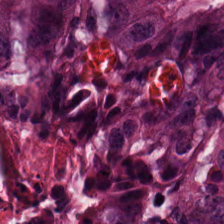Tissue type: malignant epithelium.
